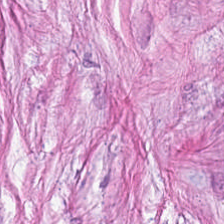H&E-stained tissue section · FFPE — Impression → desmoplastic stroma.
